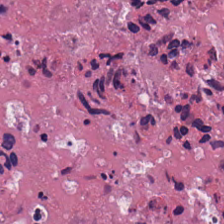224×224 px patch; hematoxylin and eosin — The predominant tissue is necrotic debris.
